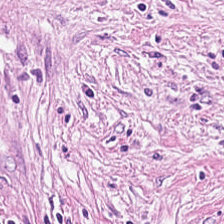The tissue here is cancer-associated stroma.
